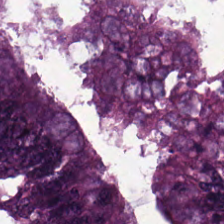Histology — colorectal adenocarcinoma.
